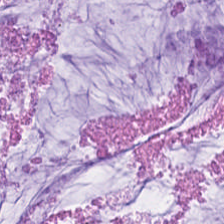The tissue is mucus.
